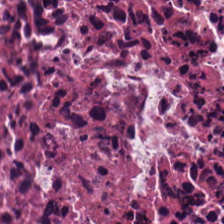H&E.
The tissue here is cellular debris.
